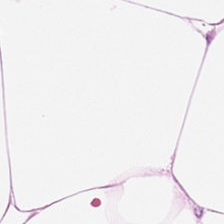Brightfield. Hematoxylin and eosin. 224×224 pixel tile — Showing fat tissue.
